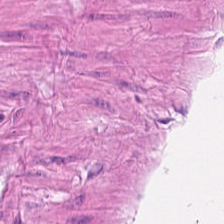Finding → smooth-muscle tissue.
